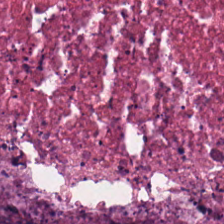H&E stain — The predominant tissue is cellular debris.
